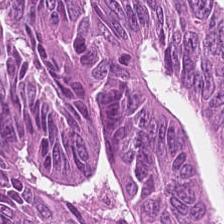Whole-slide-image patch · FFPE · H&E — Q: What tissue is shown?
A: It is adenocarcinoma.
